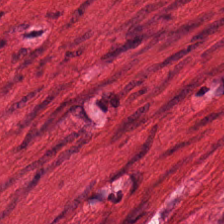H&E stain. WSI patch. Predominant tissue: muscularis.
